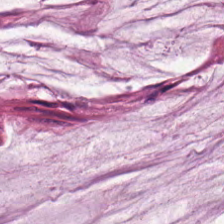H&E stain — Predominant tissue: mucin.
